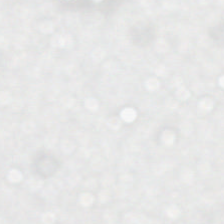H&E stain. No tissue present; background only.
